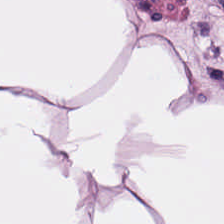224×224 pixel tile · H&E.
Predominantly adipose tissue.
